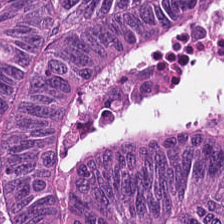H&E · 224×224 px tile. Malignant epithelium.
